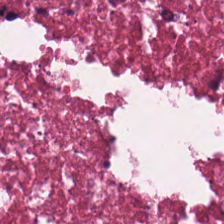Brightfield microscopy; 224×224 px tile; H&E stain.
The tissue here is debris.
